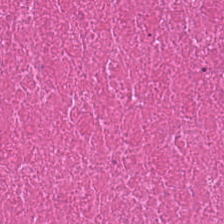Q: What does this patch show?
A: The field shows cellular debris.
